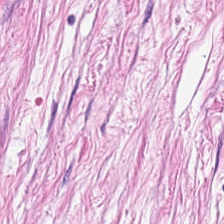H&E stain — The tissue type is cancer-associated stroma.
